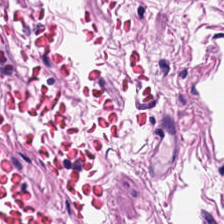0.5 µm/px. Formalin-fixed paraffin-embedded section. H&E — This patch shows smooth-muscle tissue.
